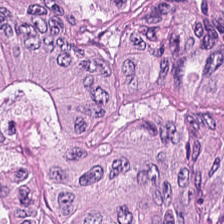224×224 pixel tile; H&E-stained tissue section — Impression — adenocarcinoma.
